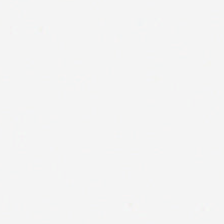Hematoxylin and eosin. This patch shows background (no tissue).
